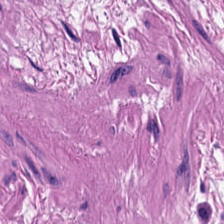Hematoxylin and eosin · 224×224 pixel tile. The predominant tissue is smooth muscle.
